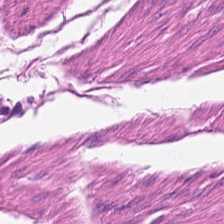H&E stain · formalin-fixed paraffin-embedded section. Impression → muscularis.
